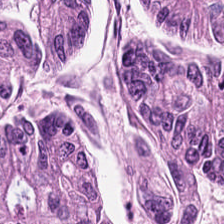Hematoxylin and eosin.
Predominantly colorectal adenocarcinoma epithelium.
